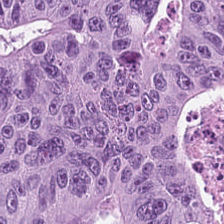Q: What tissue type is shown here?
A: This is adenocarcinoma.
